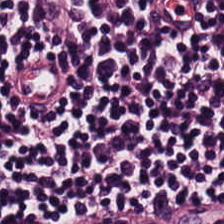H&E-stained tissue section — Tissue class: lymphocyte aggregate.
